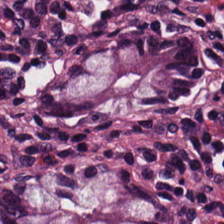Hematoxylin and eosin.
Predominant tissue = non-neoplastic colon mucosa.
